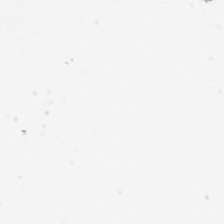Formalin-fixed paraffin-embedded section. Hematoxylin and eosin — Empty background.
